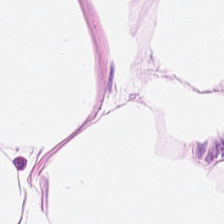H&E-stained tissue section.
Showing adipose tissue.
